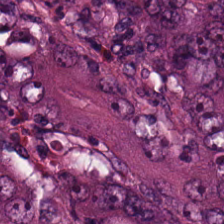H&E stain — This field is colorectal adenocarcinoma.
